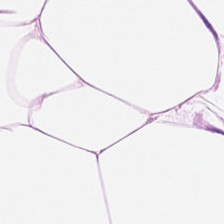Stain: hematoxylin and eosin.
Tissue: adipose.
